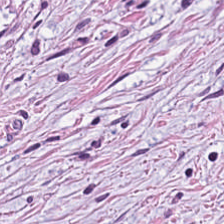Formalin-fixed paraffin-embedded section; hematoxylin and eosin. Q: What is shown here?
A: It is cancer-associated stroma.
